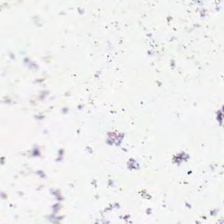224×224 px tile. H&E. 0.5 microns per pixel. Background — no tissue in this field.
